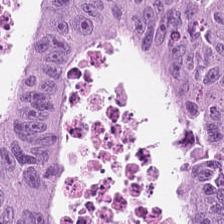H&E-stained tissue section — Malignant epithelium.
